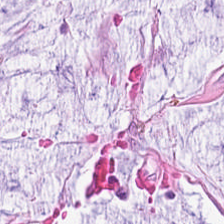H&E stain.
Q: What does this patch show?
A: Mucin.
